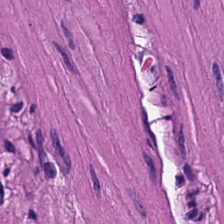Q: What does this patch show?
A: The field shows smooth-muscle tissue.
